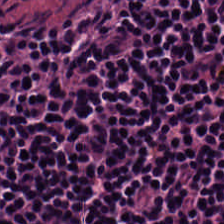H&E-stained section; the field shows lymphoid infiltrate.
